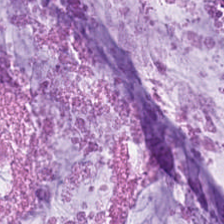H&E. FFPE tissue section.
The predominant tissue is extracellular mucin.
